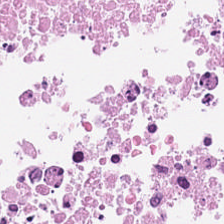Formalin-fixed paraffin-embedded section. WSI patch. H&E stain.
Finding — debris.
